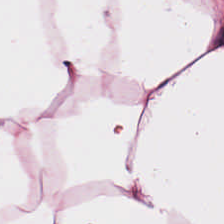Hematoxylin-and-eosin stained section — The tissue here is adipose.
